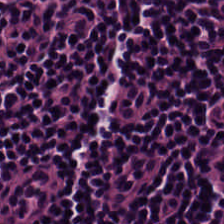H&E. Impression → lymphocytic infiltrate.
